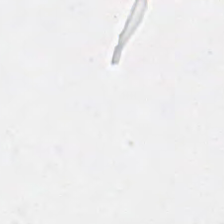224×224 px tile. Hematoxylin and eosin. {"content": "empty background"}
